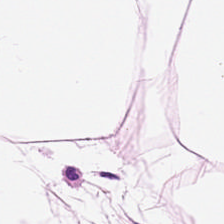H&E.
Histology — adipose.
